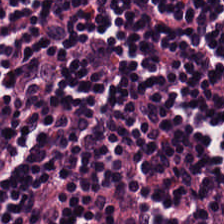Hematoxylin and eosin.
Classification — lymphoid infiltrate.
